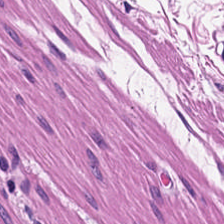Whole-slide-image patch · 224×224 px tile · H&E-stained tissue section. The tissue is muscularis.
